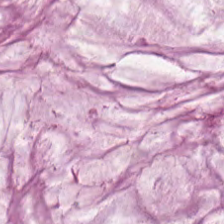Hematoxylin-and-eosin stained section — Classification = mucus.
